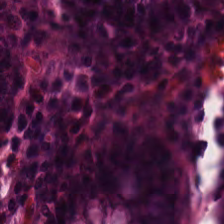The predominant tissue is normal colonic mucosa.
